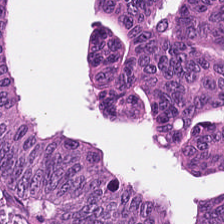Tumor epithelium.
